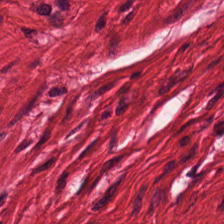Predominant tissue: smooth muscle.
